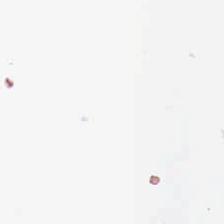224×224 px patch; hematoxylin-and-eosin stained section — The field content is no tissue.
